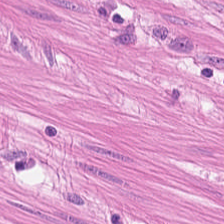Hematoxylin-and-eosin stained section · formalin-fixed paraffin-embedded section.
Q: What tissue is shown?
A: This is smooth muscle.
